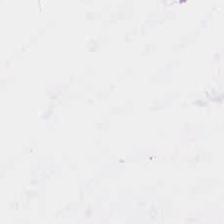Stain: H&E stain.
Classification: background.
